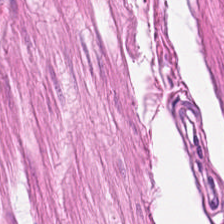Whole-slide-image patch · H&E-stained tissue section.
Predominant tissue = smooth-muscle tissue.
